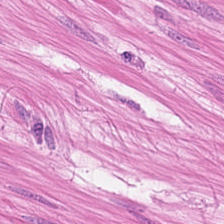Predominant tissue: smooth-muscle tissue.
